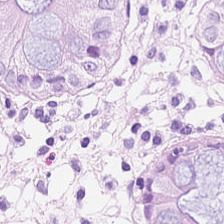Hematoxylin-and-eosin stained section. Q: Classify this patch.
A: Normal colonic mucosa.
